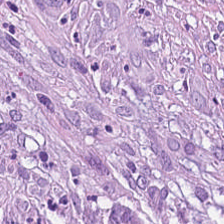Hematoxylin-and-eosin stained section; 224×224 px patch; 0.5 µm per pixel.
Predominantly tumor stroma.
